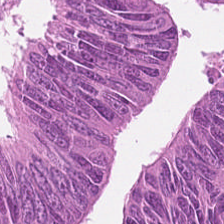Hematoxylin and eosin — The tissue class is malignant epithelium.
